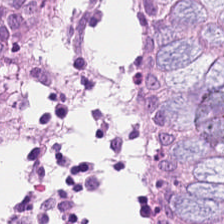Stain: H&E stain.
Tissue type: normal colonic mucosa.
